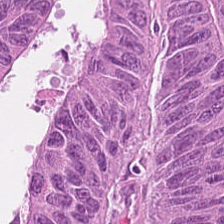Stain: hematoxylin-and-eosin stained section.
Classification: tumor epithelium.
